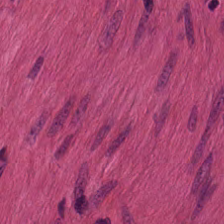Formalin-fixed paraffin-embedded section; H&E — This field is smooth muscle.
